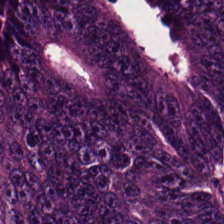H&E-stained tissue section — Classification — adenocarcinoma.
